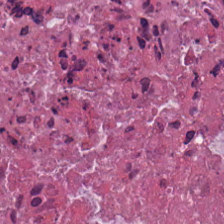Stain: H&E.
Predominant tissue: necrotic debris.
